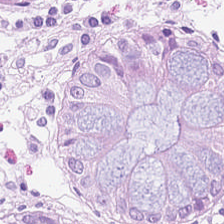Hematoxylin and eosin. Brightfield. FFPE.
Tissue — non-neoplastic colon mucosa.
